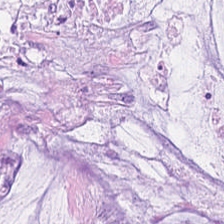Predominant tissue = mucus.
